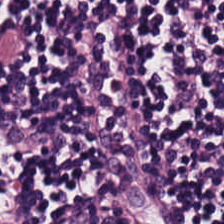Q: What is shown in this field?
A: Lymphocytic infiltrate.
